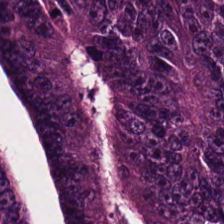Hematoxylin and eosin — Q: What is the predominant tissue type?
A: Colorectal adenocarcinoma.
